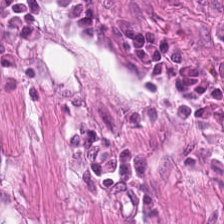Histology → smooth-muscle tissue.
